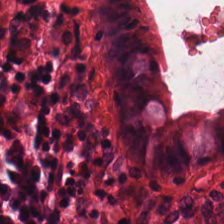H&E-stained tissue section.
Classification = normal colon mucosa.
